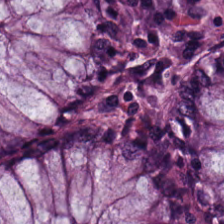H&E stain. Showing non-neoplastic colon mucosa.
